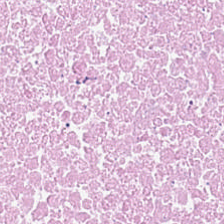Whole-slide-image patch. 224×224 px tile. Hematoxylin and eosin — The tissue here is debris.
